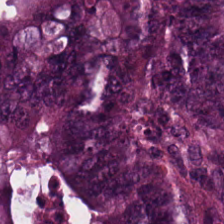Whole-slide-image patch. Hematoxylin and eosin. 0.5 µm per pixel. Tissue class: colorectal adenocarcinoma epithelium.
